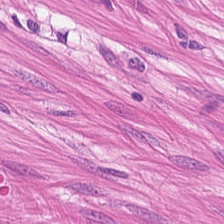Tissue class — smooth muscle.
